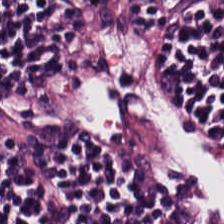Hematoxylin and eosin.
The predominant tissue is lymphocytic infiltrate.
